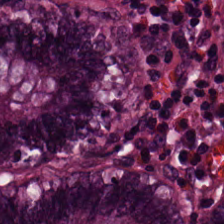0.5 µm per pixel · H&E-stained tissue section · FFPE tissue section — Histology → benign colonic mucosa.
